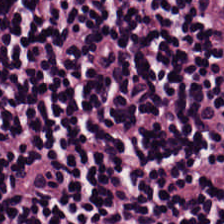Formalin-fixed paraffin-embedded section; H&E-stained tissue section; 224×224 px tile. Tissue class = lymphoid infiltrate.
